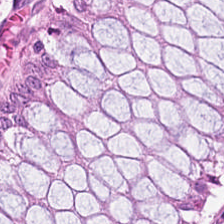H&E.
Tissue = non-neoplastic colon mucosa.
